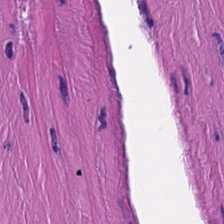Q: What is shown here?
A: This is muscularis.
